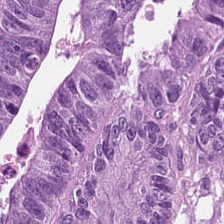Stain: H&E-stained tissue section.
Tissue: malignant epithelium.
